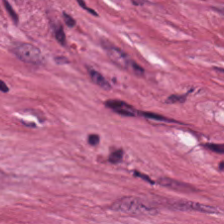H&E-stained tissue section.
Q: What tissue is shown?
A: The field shows tumor stroma.
